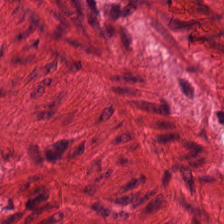Predominant tissue = smooth muscle.
